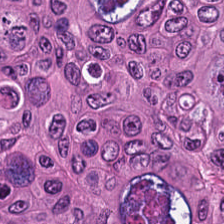H&E-stained tissue section. Brightfield microscopy. The predominant tissue is adenocarcinoma.
